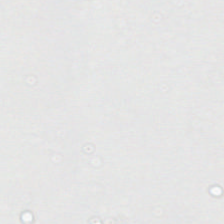H&E stain — The classification is background.
